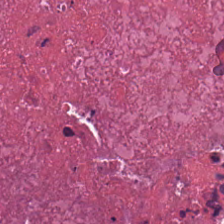Brightfield microscopy · 224×224 pixel tile · H&E-stained tissue section.
Histology → cellular debris.
